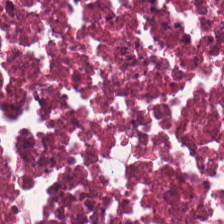H&E stain. Whole-slide-image patch. Predominant tissue — debris.
